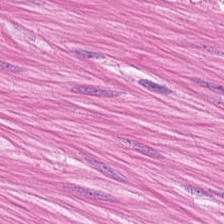This field is muscularis.
